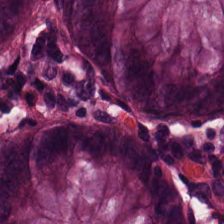H&E-stained tissue section · 224×224 px patch · 20× equivalent magnification — Predominant tissue = non-neoplastic colon mucosa.
